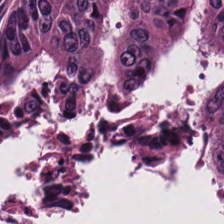Hematoxylin and eosin — Q: Identify the tissue.
A: This is colorectal adenocarcinoma epithelium.
